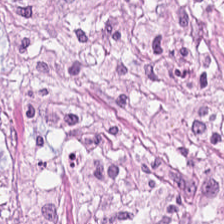Hematoxylin and eosin; 224×224 px patch.
The tissue is tumor-associated stroma.
